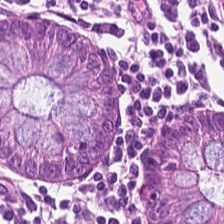Hematoxylin-and-eosin stained section — Q: What tissue type is shown here?
A: Benign colonic mucosa.
